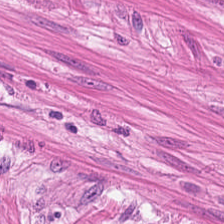Stain: H&E stain.
Resolution: 0.5 microns per pixel.
Acquisition: WSI patch.
Predominant tissue: muscularis.
